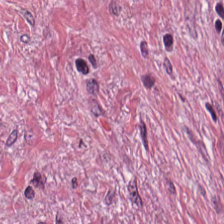0.5 microns per pixel. H&E stain. Brightfield microscopy — Predominant tissue — cancer-associated stroma.
